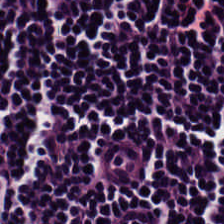H&E-stained tissue section — This patch shows lymphocytes.
